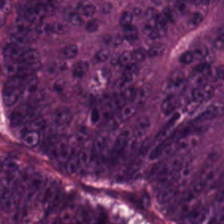0.5 microns per pixel. 224×224 px tile. H&E. The tissue here is colorectal adenocarcinoma epithelium.
